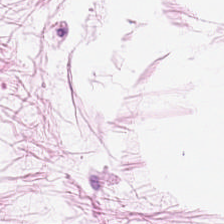H&E-stained section; the field shows adipose tissue.
